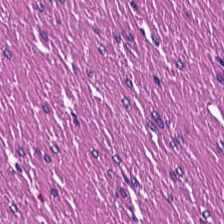Hematoxylin and eosin; brightfield microscopy — The tissue here is smooth muscle.
